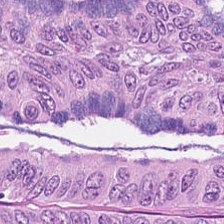Whole-slide-image patch; 0.5 µm per pixel; H&E.
The predominant tissue is adenocarcinoma.
